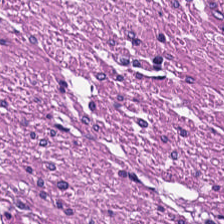Stain: hematoxylin-and-eosin stained section.
Classification: smooth muscle.
